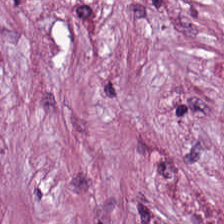Stain: H&E-stained tissue section.
Predominant tissue: tumor stroma.
